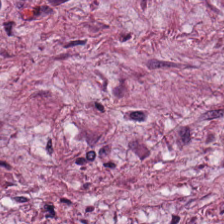Hematoxylin and eosin.
Predominantly tumor stroma.
